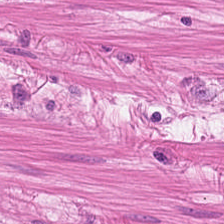This field is muscularis.
